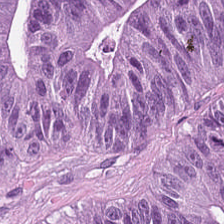H&E · FFPE tissue section · 224×224 px tile.
Malignant epithelium.
